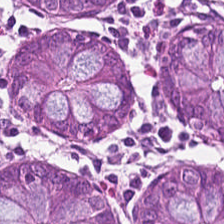H&E stain.
Finding → non-neoplastic colon mucosa.
